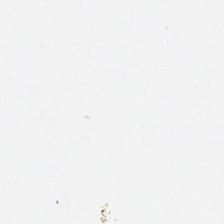H&E-stained tissue section — This patch shows no tissue.
